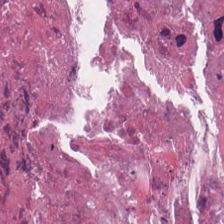H&E.
Necrotic debris.
